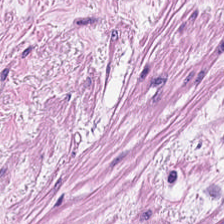H&E patch showing smooth-muscle tissue.
